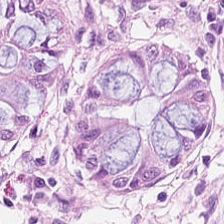H&E-stained tissue section — Q: What tissue is shown?
A: The field shows normal colon mucosa.
